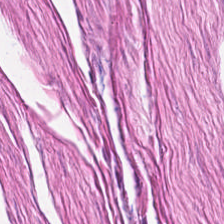Smooth muscle.
